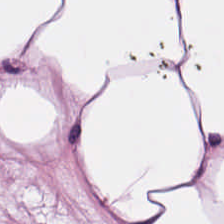H&E-stained tissue section. 224×224 px tile — Tissue class: adipose tissue.
